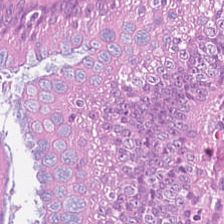Hematoxylin-and-eosin stained section. FFPE tissue section. Predominant tissue = colorectal adenocarcinoma epithelium.
